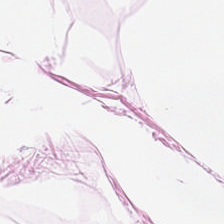H&E stain. 0.5 µm per pixel. Tissue class = adipocytes.
